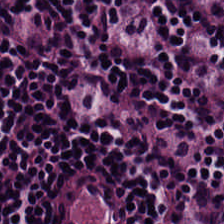H&E stain. Tissue: lymphocyte aggregate.
